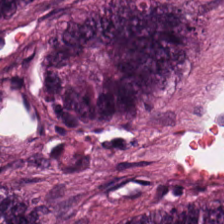Whole-slide-image patch · 224×224 px tile · H&E.
Q: What is shown in this field?
A: It is colorectal adenocarcinoma epithelium.
